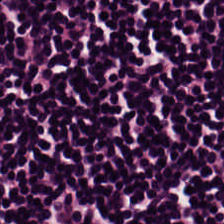Hematoxylin and eosin. Formalin-fixed paraffin-embedded section. 20× equivalent magnification.
Showing lymphocyte aggregate.
